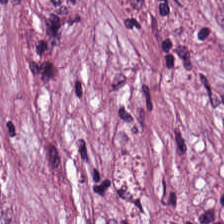H&E; brightfield microscopy.
Classification — desmoplastic stroma.
